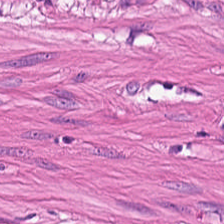0.5 µm per pixel; WSI patch; hematoxylin and eosin — Classification — muscularis.
